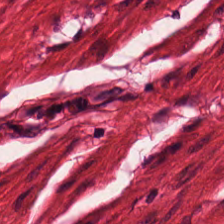H&E stain. Muscularis.
